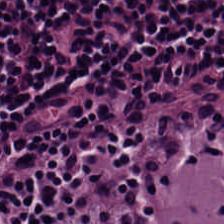Q: What is shown in this field?
A: It is lymphoid infiltrate.
